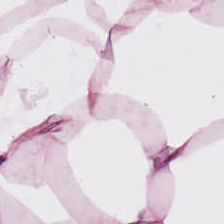Histology → adipose tissue.
